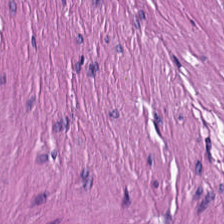Tissue: muscularis.
